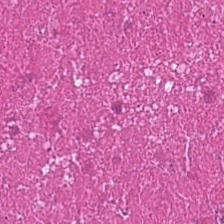Brightfield · formalin-fixed paraffin-embedded section · H&E stain. The predominant tissue is cellular debris.
